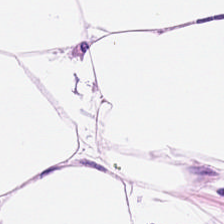Q: What is the predominant tissue type?
A: The field shows fat tissue.
